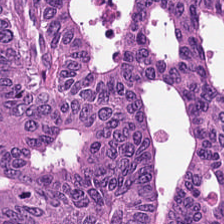H&E stain. FFPE. Predominant tissue = tumor epithelium.
